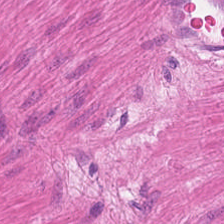0.5 µm/px; hematoxylin-and-eosin stained section; 224×224 pixel tile. Tissue type: smooth-muscle tissue.
